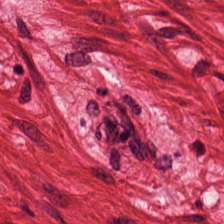H&E-stained tissue section.
{"tissue_type": "smooth-muscle tissue"}
